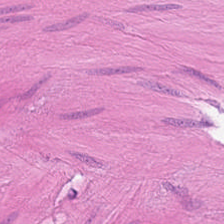Showing smooth muscle.
